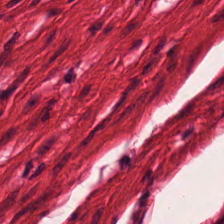20× equivalent magnification · hematoxylin-and-eosin stained section. Finding → smooth-muscle tissue.
